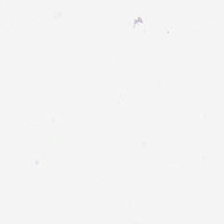Hematoxylin-and-eosin stained section. Content = background.
